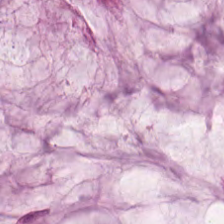Hematoxylin and eosin. Q: What is the predominant tissue type?
A: The field shows mucus.
